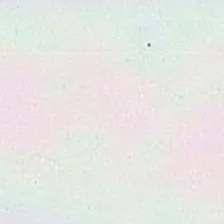Stain: H&E.
Field content: empty background.
